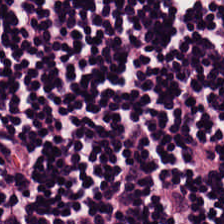Hematoxylin and eosin. Predominantly lymphoid infiltrate.
